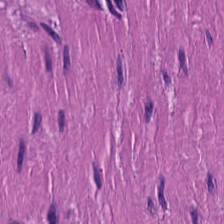20× equivalent magnification; 224×224 px tile; hematoxylin-and-eosin stained section. Tissue class — smooth muscle.
